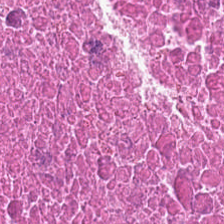H&E — Histology — debris.
